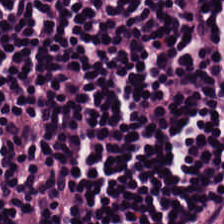H&E-stained tissue section — Showing lymphoid infiltrate.
